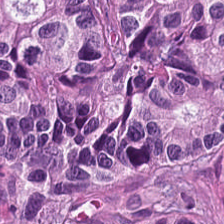H&E-stained tissue section; 0.5 microns per pixel; 224×224 px tile. This field is adenocarcinoma.
